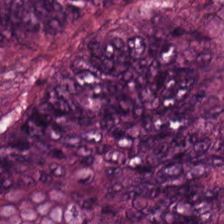Q: What tissue is shown?
A: Mucus.
